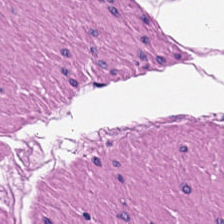H&E — smooth muscle.
